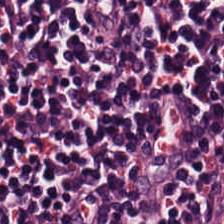Stain: H&E stain.
Tile size: 224×224 px tile.
Tissue class: lymphoid infiltrate.
